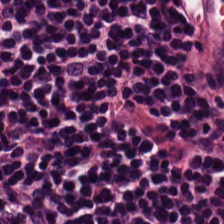H&E stain. The tissue type is lymphocytic infiltrate.
